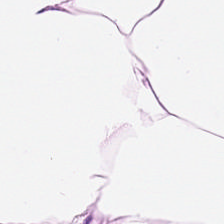224×224 pixel tile; hematoxylin-and-eosin stained section; 0.5 µm per pixel.
Classification — adipose.
